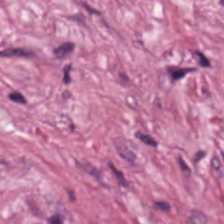Stain: H&E stain.
Tissue: tumor-associated stroma.
